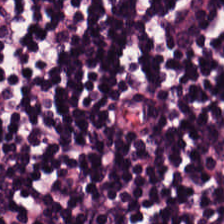Stain: H&E-stained tissue section.
Tissue class: lymphocytes.
